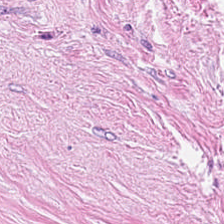224×224 px patch; 0.5 microns per pixel; H&E-stained tissue section — This field is desmoplastic stroma.
